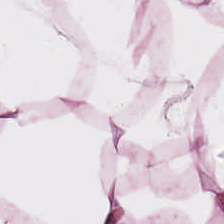Whole-slide-image patch. Hematoxylin-and-eosin stained section. 0.5 microns per pixel. Showing adipose tissue.
